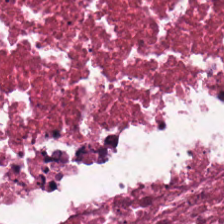H&E stain.
Predominant tissue: debris.
